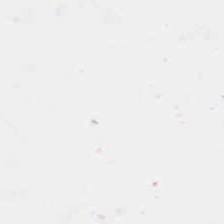H&E-stained tissue section; WSI patch. Classification: empty background.
